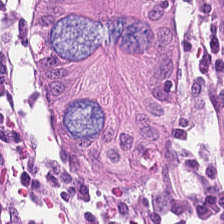0.5 µm per pixel. H&E-stained tissue section. FFPE tissue section — Showing normal colonic mucosa.
